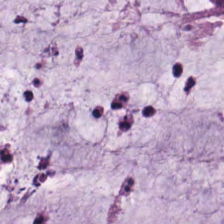Stain: hematoxylin and eosin.
Acquisition: whole-slide-image patch.
Tile size: 224×224 pixel tile.
Predominant tissue: mucin.
